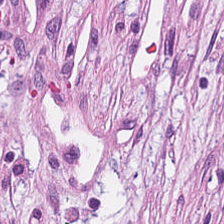H&E.
The classification is tumor stroma.
